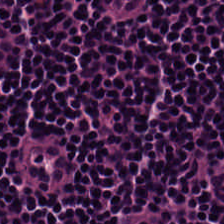H&E stain.
Q: What is shown in this field?
A: It is lymphocytic infiltrate.
